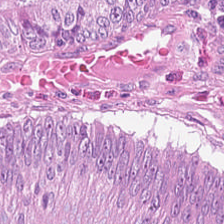WSI patch · 0.5 microns per pixel · H&E stain — Showing adenocarcinoma.
